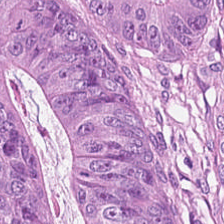H&E patch showing colorectal adenocarcinoma.
